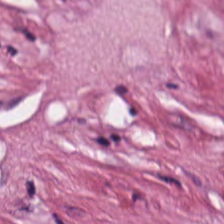{"tissue_type": "cancer-associated stroma"}
